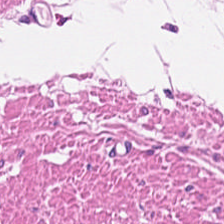H&E-stained tissue section. 224×224 px tile. Q: What is shown in this field?
A: It is muscularis.
